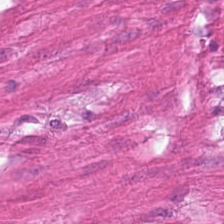Hematoxylin-and-eosin stained section — Finding — smooth muscle.
